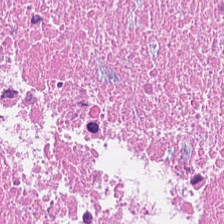Predominant tissue — debris.
